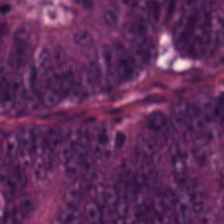H&E · 224×224 px tile. This field is colorectal adenocarcinoma epithelium.
